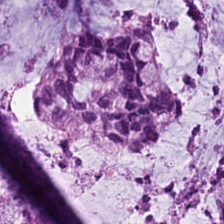H&E-stained tissue section — Tissue type = mucus.
